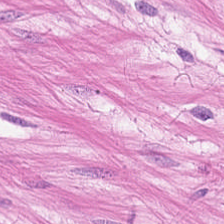Hematoxylin-and-eosin stained section; FFPE.
The tissue type is muscularis.
